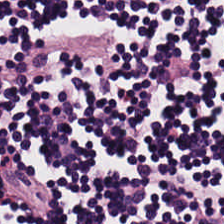H&E stain. 224×224 px patch. 0.5 µm/px — Lymphocytes.
